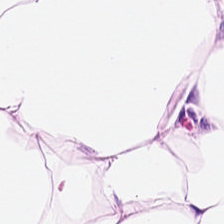Formalin-fixed paraffin-embedded section · H&E stain · 224×224 px tile. The tissue here is adipose.
